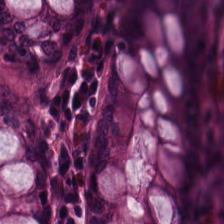Stain: H&E-stained tissue section.
Classification: non-neoplastic colon mucosa.
